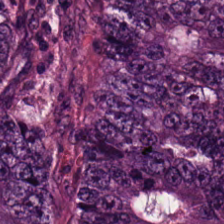H&E.
Tissue class: tumor epithelium.
